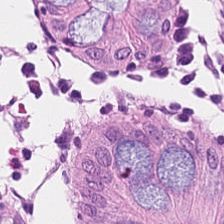H&E stain. 224×224 px tile. Normal colonic mucosa.
